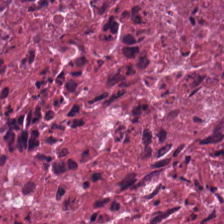Hematoxylin-and-eosin stained section. 0.5 µm/px. 224×224 px tile — Finding — debris.
